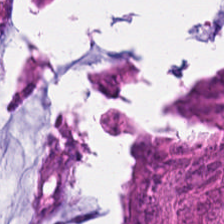FFPE tissue section. H&E.
Tissue type = colorectal adenocarcinoma epithelium.
